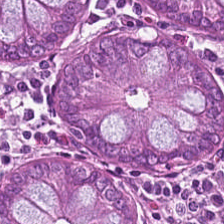H&E stain — Finding → non-neoplastic colon mucosa.
